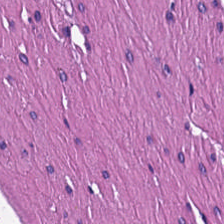224×224 pixel tile · H&E-stained tissue section — Q: What tissue is shown?
A: The field shows muscularis.
